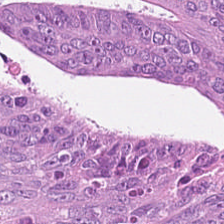Stain: H&E.
Classification: colorectal adenocarcinoma.
